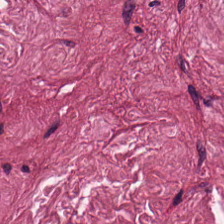0.5 µm/px · hematoxylin and eosin. Showing desmoplastic stroma.
